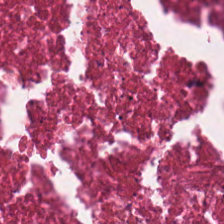H&E-stained tissue section. 0.5 microns per pixel — Predominant tissue — cellular debris.
